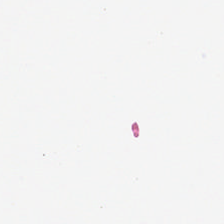H&E stain. Classification = background (no tissue).
